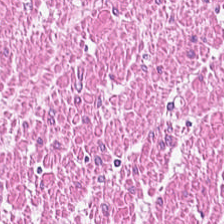Impression → smooth-muscle tissue.
